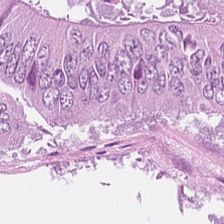Q: What does this patch show?
A: It is colorectal adenocarcinoma epithelium.
